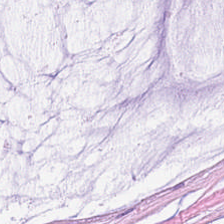Q: What tissue type is shown here?
A: This is mucus.
